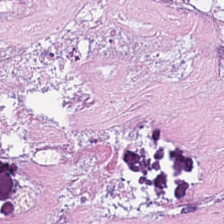Hematoxylin and eosin. The classification is cellular debris.
